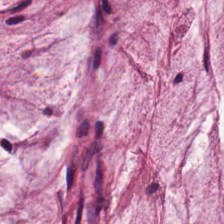H&E-stained tissue section.
This patch shows mucin.
